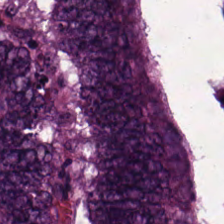The tissue here is tumor epithelium.
